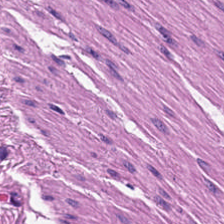Brightfield microscopy · 0.5 µm/px · H&E — Smooth muscle.
